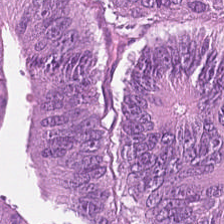Hematoxylin-and-eosin stained section.
The tissue here is adenocarcinoma.
